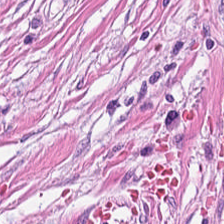0.5 microns per pixel; formalin-fixed paraffin-embedded section; H&E. {"tissue_type": "tumor-associated stroma"}
